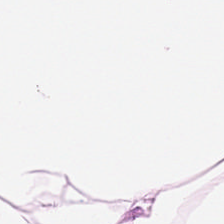H&E.
Predominantly fat tissue.
